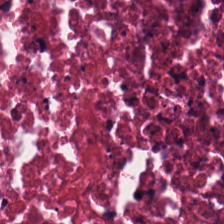Finding — debris.
